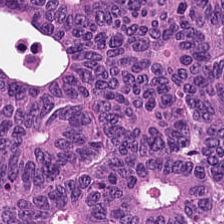Hematoxylin and eosin · formalin-fixed paraffin-embedded section. Colorectal adenocarcinoma.
